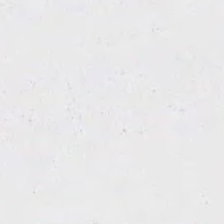0.5 microns per pixel · hematoxylin-and-eosin stained section.
Impression — background.
